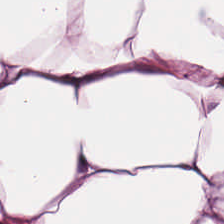H&E-stained tissue section.
Finding → adipose tissue.
